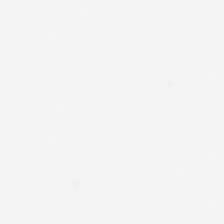H&E stain. Background (no tissue).
